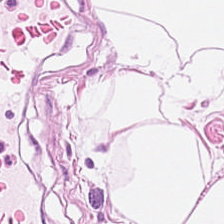WSI patch. Hematoxylin-and-eosin stained section. Predominantly fat tissue.
